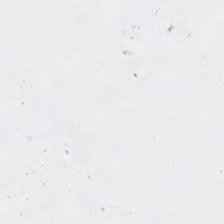Whole-slide-image patch; 0.5 microns per pixel; hematoxylin and eosin.
Finding — background.
